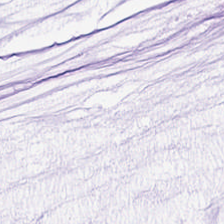Whole-slide-image patch. 224×224 pixel tile. H&E-stained tissue section.
The tissue here is extracellular mucin.
